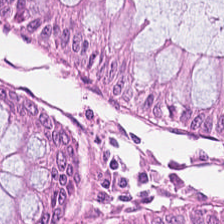H&E-stained tissue section · 0.5 microns per pixel — Tissue class — normal colon mucosa.
